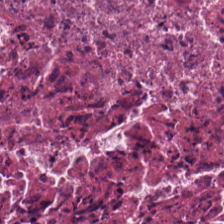Formalin-fixed paraffin-embedded section. H&E. 20× equivalent magnification.
Showing necrotic debris.
